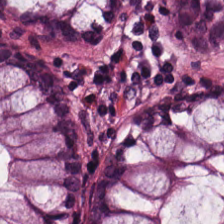H&E-stained tissue section. This patch shows benign colonic mucosa.
